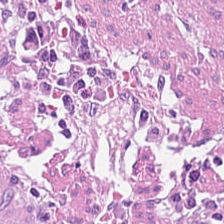Formalin-fixed paraffin-embedded section. Hematoxylin-and-eosin stained section.
The tissue here is tumor-associated stroma.
